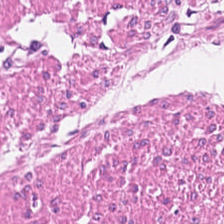FFPE · H&E-stained tissue section — Impression — smooth-muscle tissue.
